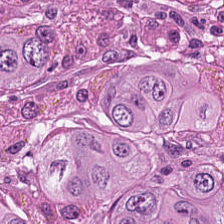H&E-stained tissue section; brightfield.
This patch shows malignant epithelium.
